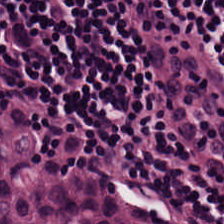Hematoxylin and eosin. Classification: lymphocytes.
